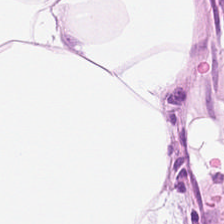Stain: H&E-stained tissue section.
Resolution: 0.5 microns per pixel.
Acquisition: brightfield microscopy.
Tissue class: adipose tissue.
